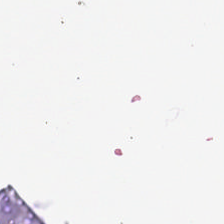Hematoxylin-and-eosin stained section. Background (no tissue).
